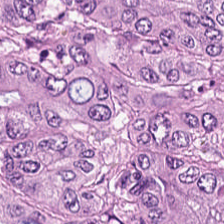Tissue type = malignant epithelium.
